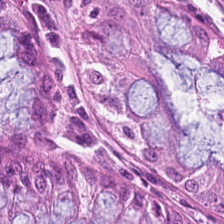Hematoxylin-and-eosin stained section.
Impression → normal colon mucosa.
